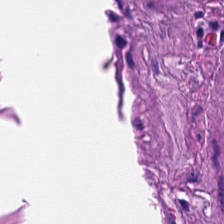0.5 µm/px. H&E — The tissue here is muscularis.
